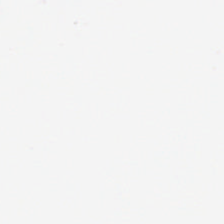Formalin-fixed paraffin-embedded section · 20× equivalent magnification · H&E-stained tissue section. Q: What is shown here?
A: This is background (no tissue).
